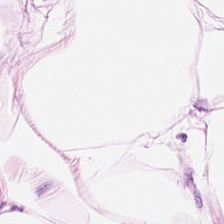Q: What tissue type is shown here?
A: It is adipocytes.
